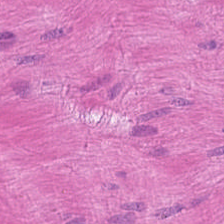H&E stain. 0.5 µm/px. WSI patch.
Predominantly smooth-muscle tissue.
